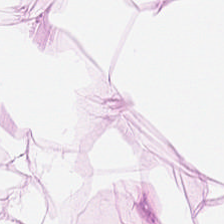Hematoxylin-and-eosin stained section. {"tissue_type": "adipose"}
